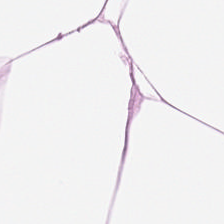224×224 px tile · H&E stain.
The tissue class is adipose tissue.
